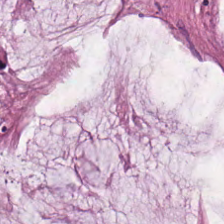Finding → mucus.
